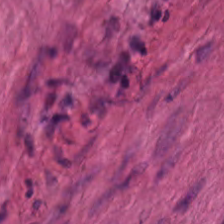224×224 px tile; hematoxylin-and-eosin stained section — {"tissue_type": "smooth-muscle tissue"}
